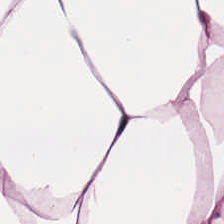Hematoxylin-and-eosin stained section · 0.5 µm per pixel — The tissue here is adipocytes.
